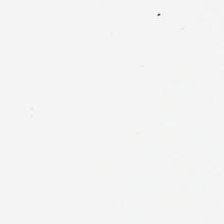Background (no tissue).
